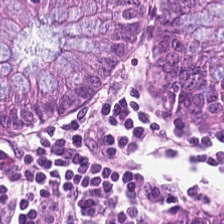H&E — Q: What does this patch show?
A: It is normal colonic mucosa.
